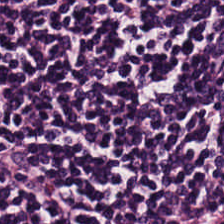Stain: hematoxylin and eosin.
Resolution: 20× equivalent magnification.
Preparation: FFPE.
Tissue class: lymphocyte aggregate.
